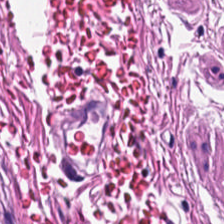Hematoxylin-and-eosin stained section. Classification = smooth muscle.
